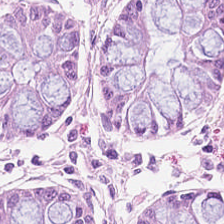H&E-stained tissue section. Tissue class — non-neoplastic colon mucosa.
